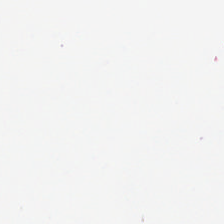H&E-stained tissue section.
Q: What does this patch show?
A: Background.
